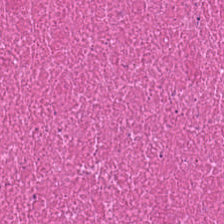224×224 pixel tile; 0.5 microns per pixel; hematoxylin-and-eosin stained section.
Cellular debris.
